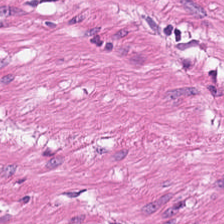H&E. The tissue here is smooth muscle.
